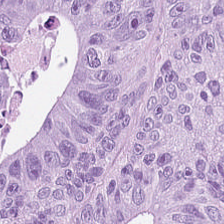Colorectal adenocarcinoma.
